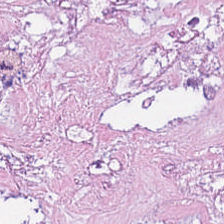Showing cellular debris.
